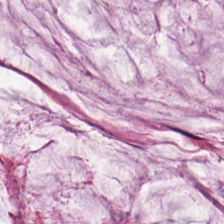Hematoxylin and eosin.
Tissue type — mucus.
